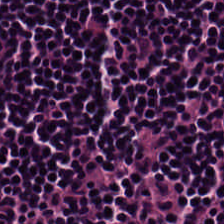H&E; FFPE — Tissue = lymphoid infiltrate.
